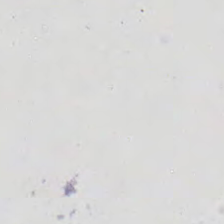0.5 microns per pixel · hematoxylin-and-eosin stained section. Content: background.
